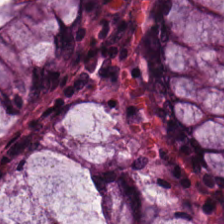Q: What type of tissue is this?
A: This is non-neoplastic colon mucosa.
